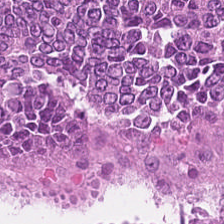H&E-stained tissue section · whole-slide-image patch. {"tissue_type": "adenocarcinoma"}
